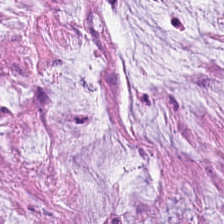Hematoxylin-and-eosin section: mucus.
